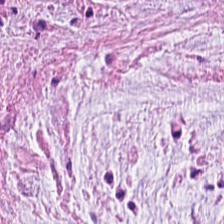0.5 µm/px · hematoxylin-and-eosin stained section. Histology → extracellular mucin.
